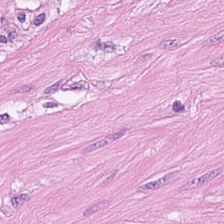Hematoxylin-and-eosin stained section; 224×224 pixel tile.
Q: What is shown here?
A: It is muscularis.
